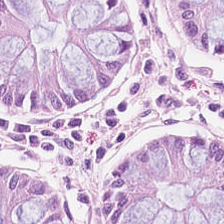224×224 pixel tile. H&E-stained tissue section. Formalin-fixed paraffin-embedded section.
Q: What tissue type is shown here?
A: The field shows benign colonic mucosa.
